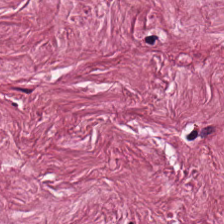Hematoxylin-and-eosin stained section. Predominantly tumor-associated stroma.
